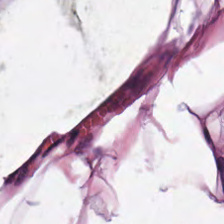Stain: hematoxylin-and-eosin stained section.
Predominant tissue: adipose.
